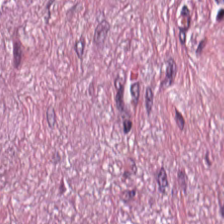Q: What is shown here?
A: This is tumor-associated stroma.
